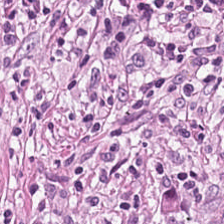H&E stain. Q: Identify the tissue.
A: The field shows tumor stroma.
